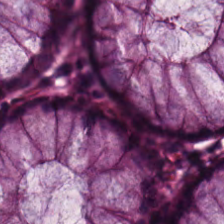Hematoxylin-and-eosin stained section. 0.5 µm per pixel.
The predominant tissue is non-neoplastic colon mucosa.
